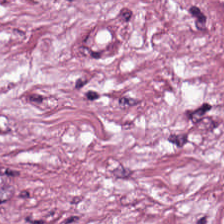H&E-stained tissue section — Q: Identify the tissue.
A: This is cancer-associated stroma.
